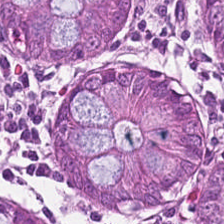H&E. 224×224 px patch. Tissue class: benign colonic mucosa.
